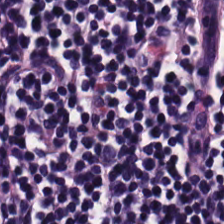This patch shows lymphocyte aggregate.
